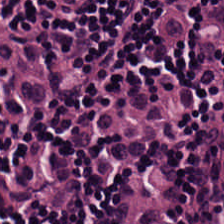Stain: H&E.
Classification: lymphoid infiltrate.
